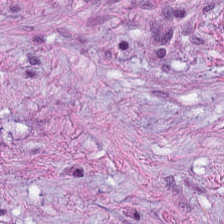Stain: hematoxylin-and-eosin stained section.
Tissue class: cancer-associated stroma.
